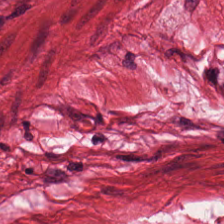Predominant tissue = muscularis.
